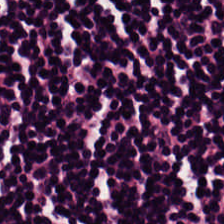Hematoxylin-and-eosin stained section.
Lymphoid infiltrate.
